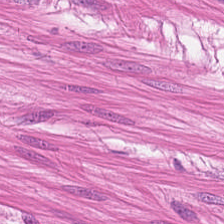Hematoxylin and eosin · 0.5 µm/px · WSI patch. The predominant tissue is muscularis.
